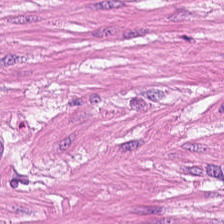Hematoxylin-and-eosin stained section. Tissue class — muscularis.
